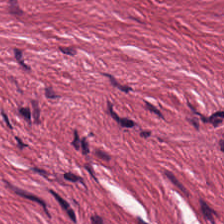Hematoxylin and eosin. Formalin-fixed paraffin-embedded section — Predominant tissue — desmoplastic stroma.
